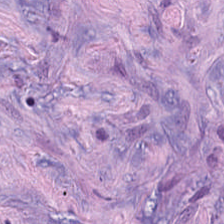H&E.
{"tissue_type": "cancer-associated stroma"}
